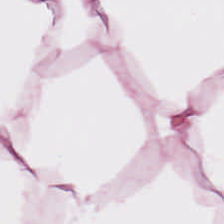H&E-stained tissue section — Q: Identify the tissue.
A: The field shows fat tissue.
